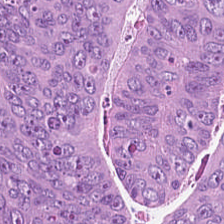Hematoxylin and eosin.
Colorectal adenocarcinoma epithelium.
